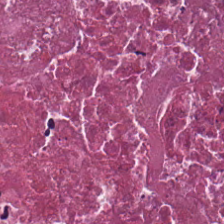H&E-stained tissue section — Debris.
